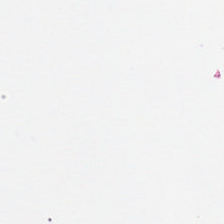This field is background (no tissue).
